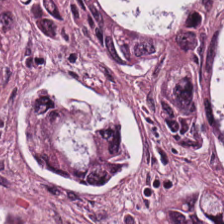H&E stain.
Tumor epithelium.
